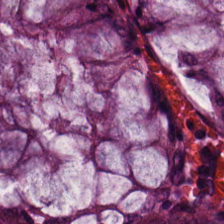H&E stain. Q: What does this patch show?
A: Normal colonic mucosa.
